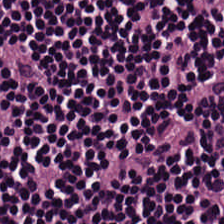224×224 pixel tile. H&E-stained tissue section.
Finding → lymphoid infiltrate.
